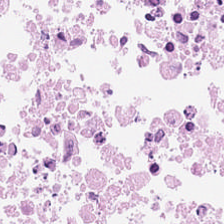H&E-stained tissue section. Classification = debris.
